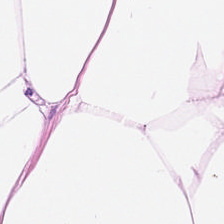H&E stain. {"tissue_type": "adipose tissue"}
